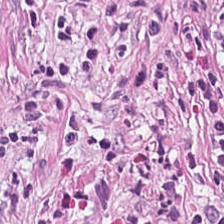H&E.
{"tissue_type": "tumor stroma"}
